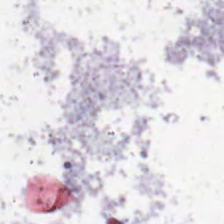Brightfield microscopy · hematoxylin-and-eosin stained section · 224×224 pixel tile — Field content: background.
